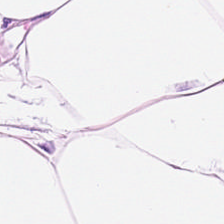0.5 µm/px. H&E stain — Histology → adipocytes.
